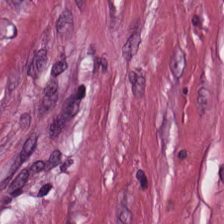The tissue here is cancer-associated stroma.
